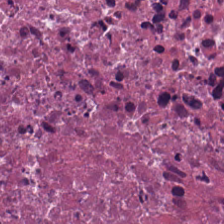Hematoxylin-and-eosin stained section.
Impression → cellular debris.
